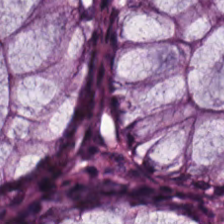H&E. Q: Classify this patch.
A: This is non-neoplastic colon mucosa.
